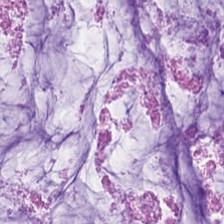H&E-stained section; the field shows mucus.
